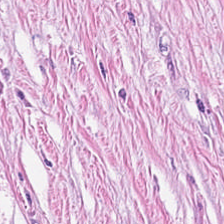Stain: hematoxylin-and-eosin stained section.
Classification: desmoplastic stroma.
